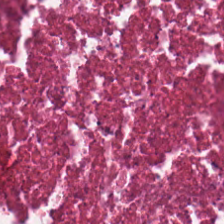Hematoxylin and eosin; 224×224 px tile. Q: What tissue type is shown here?
A: Debris.
